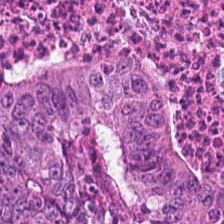224×224 pixel tile · FFPE tissue section · H&E stain.
The tissue here is adenocarcinoma.
